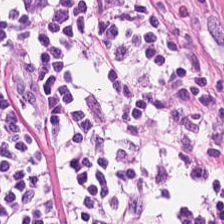224×224 pixel tile · hematoxylin-and-eosin stained section.
Predominant tissue = smooth-muscle tissue.
